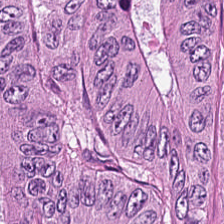Hematoxylin and eosin.
Q: Identify the tissue.
A: It is tumor epithelium.
